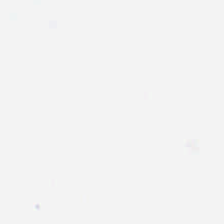Empty field — background (no tissue).
